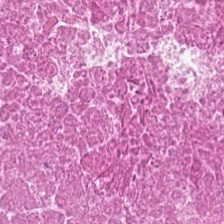0.5 µm/px · H&E.
Histology → cellular debris.
